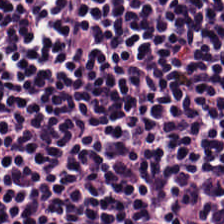This field is lymphoid infiltrate.
